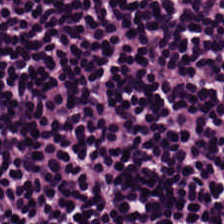H&E-stained tissue section. Q: Identify the tissue.
A: It is lymphoid infiltrate.
